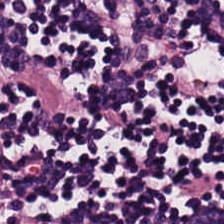Impression → lymphocytes.
